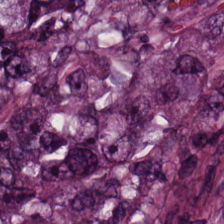224×224 px patch. H&E stain. 0.5 µm per pixel. The classification is tumor epithelium.
